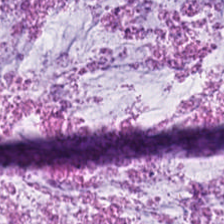Stain: H&E-stained tissue section.
Resolution: 20× equivalent magnification.
Predominant tissue: extracellular mucin.
